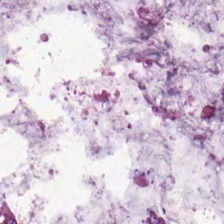H&E · WSI patch — The predominant tissue is extracellular mucin.
